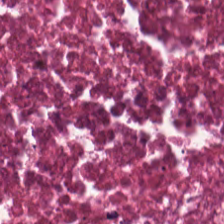H&E — cellular debris.
